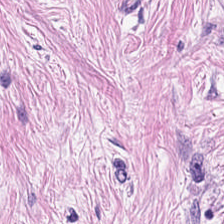H&E stain. Q: What type of tissue is this?
A: It is desmoplastic stroma.
